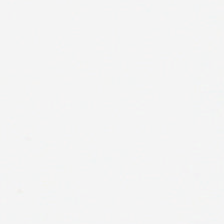Hematoxylin and eosin. Background.
